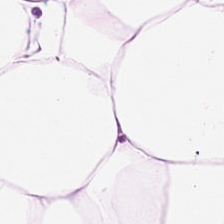Hematoxylin-and-eosin stained section.
Q: What tissue type is shown here?
A: The field shows adipocytes.
